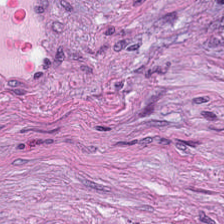Hematoxylin-and-eosin stained section. Tissue = tumor-associated stroma.
